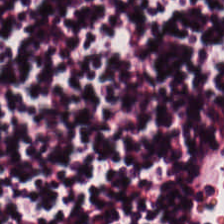Hematoxylin-and-eosin stained section. Classification — lymphocytic infiltrate.
